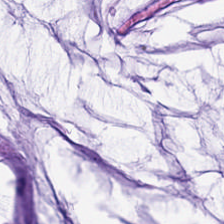0.5 microns per pixel; H&E; 224×224 px tile. Tissue — mucin.
